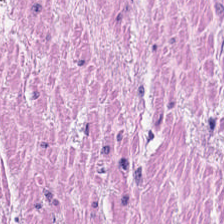H&E stain.
{"tissue_type": "smooth-muscle tissue"}
